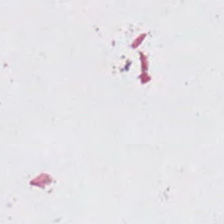This patch shows empty background.
